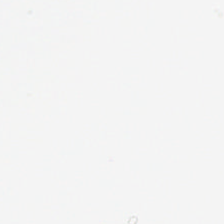Hematoxylin and eosin. Classification = empty background.
